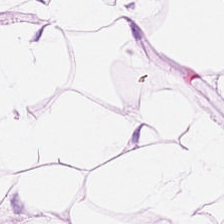Brightfield microscopy. H&E. FFPE tissue section — Q: What is shown in this field?
A: It is adipose tissue.
